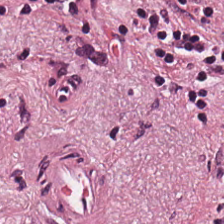H&E; FFPE. Cancer-associated stroma.
